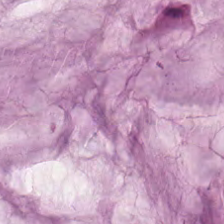WSI patch; hematoxylin-and-eosin stained section. Histology → extracellular mucin.
